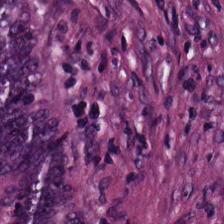H&E-stained tissue section.
Impression — malignant epithelium.
